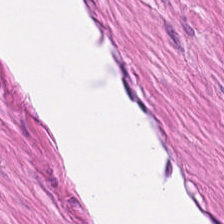Hematoxylin-and-eosin section: smooth muscle.
